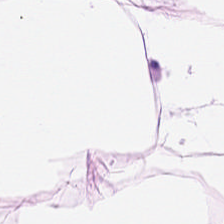Brightfield microscopy. Hematoxylin-and-eosin stained section.
Classification = adipocytes.
